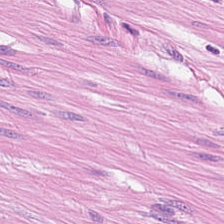Stain: hematoxylin-and-eosin stained section.
Tile size: 224×224 px patch.
Preparation: FFPE.
Tissue: smooth-muscle tissue.
